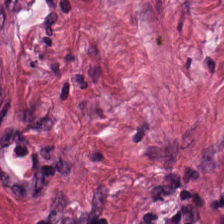Hematoxylin-and-eosin stained section. The tissue class is cancer-associated stroma.
